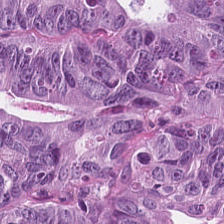Classification — malignant epithelium.
